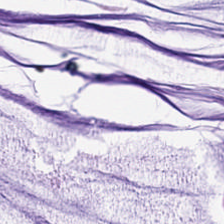Hematoxylin-and-eosin stained section; 224×224 pixel tile; 0.5 microns per pixel — {"tissue_type": "mucus"}
